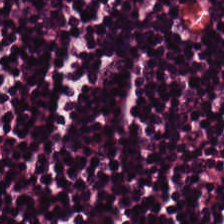The tissue is lymphocytic infiltrate.
